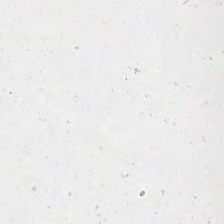Hematoxylin-and-eosin stained section — Empty field — background.
